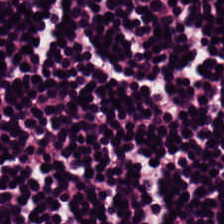Hematoxylin-and-eosin stained section — The tissue is lymphoid infiltrate.
